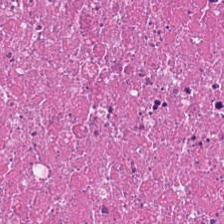224×224 px patch; hematoxylin and eosin; FFPE tissue section — Q: What type of tissue is this?
A: This is debris.
